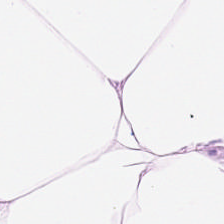Tissue: adipocytes.
